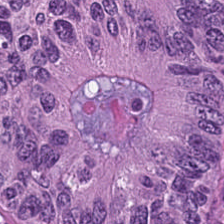H&E-stained tissue section.
Showing colorectal adenocarcinoma.
